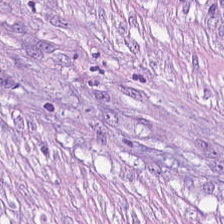H&E stain. Classification — tumor-associated stroma.
